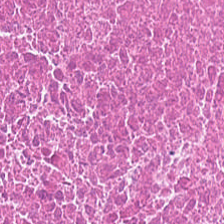Stain: H&E stain.
Classification: debris.
